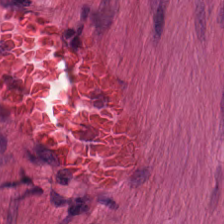224×224 px patch · hematoxylin-and-eosin stained section. Tissue type — smooth-muscle tissue.
